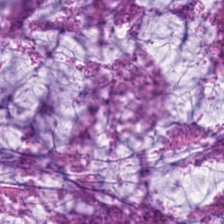The predominant tissue is mucus.
